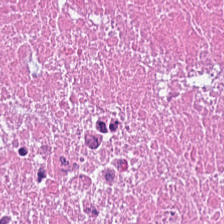H&E-stained tissue section — Q: Classify this patch.
A: It is debris.
